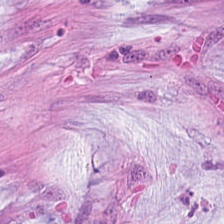Hematoxylin-and-eosin stained section — This patch shows mucus.
